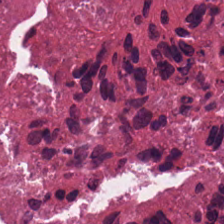H&E stain. Q: What is the predominant tissue type?
A: Debris.
